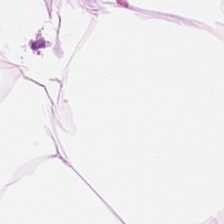Histology → adipocytes.
